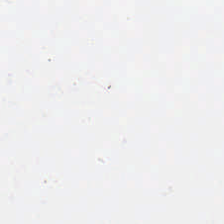H&E · 0.5 µm/px · formalin-fixed paraffin-embedded section.
Q: Classify this patch.
A: This is background.
